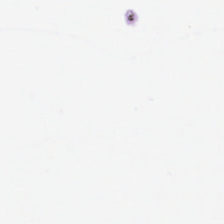FFPE tissue section; hematoxylin-and-eosin stained section; brightfield microscopy — Q: What is shown here?
A: Background (no tissue).
